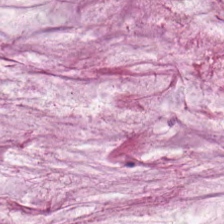Predominant tissue: mucus.
